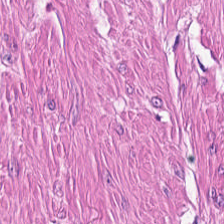Predominant tissue = smooth muscle.
